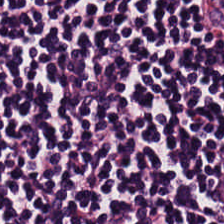Stain: hematoxylin-and-eosin stained section.
Resolution: 0.5 µm per pixel.
Tile size: 224×224 px patch.
Classification: lymphocytes.
